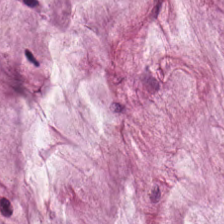H&E. FFPE tissue section. Predominantly extracellular mucin.
